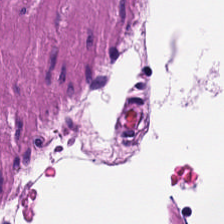Stain: H&E stain.
Tissue type: muscularis.
